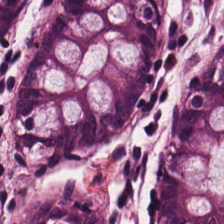Classification — normal colon mucosa.
